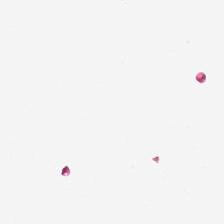This field is background (no tissue).
